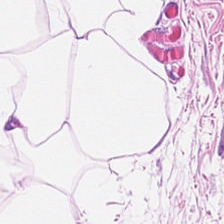H&E-stained tissue section; FFPE tissue section. Q: What tissue is shown?
A: It is fat tissue.
